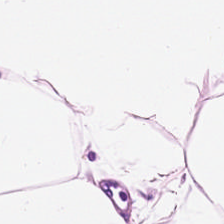Tissue class = adipose.
